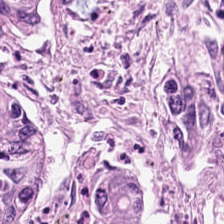FFPE. 20× equivalent magnification. H&E-stained tissue section — Predominant tissue — colorectal adenocarcinoma epithelium.
